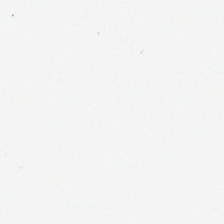H&E.
Q: What is shown in this field?
A: It is no tissue.
